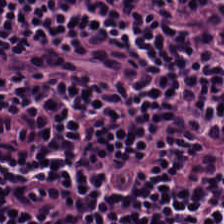The predominant tissue is lymphoid infiltrate.
